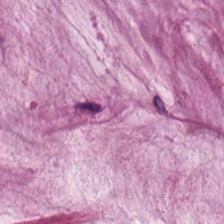Stain: hematoxylin-and-eosin stained section.
Predominant tissue: extracellular mucin.
